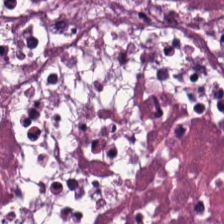FFPE tissue section. Hematoxylin-and-eosin stained section. The tissue here is cellular debris.
